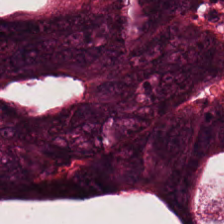Stain: H&E-stained tissue section.
Classification: adenocarcinoma.
